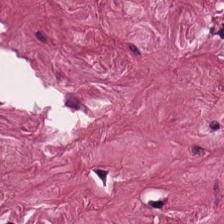Stain: hematoxylin-and-eosin stained section.
Classification: tumor-associated stroma.
